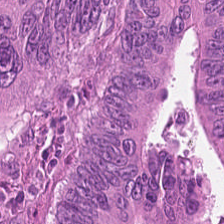Brightfield microscopy · 20× equivalent magnification · hematoxylin-and-eosin stained section. Tissue: colorectal adenocarcinoma.
